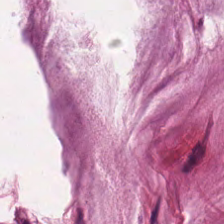H&E.
Showing mucin.
